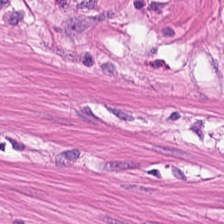20× equivalent magnification. FFPE tissue section. Hematoxylin and eosin — Muscularis.
